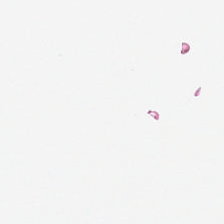Classification — background.
